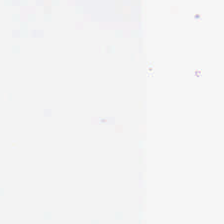Brightfield; 224×224 px tile; hematoxylin and eosin. Background — no tissue in this field.
